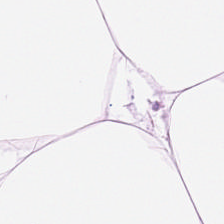Showing adipocytes.
